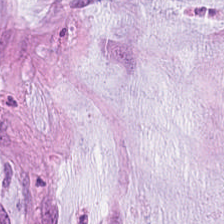Stain: H&E stain.
Resolution: 0.5 µm per pixel.
Acquisition: brightfield.
Tissue class: mucus.
